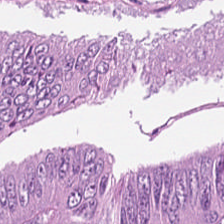Stain: hematoxylin and eosin.
Tissue: malignant epithelium.
